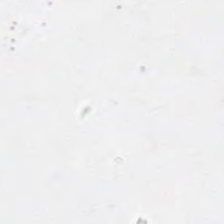Formalin-fixed paraffin-embedded section · H&E-stained tissue section.
Field content: no tissue.
